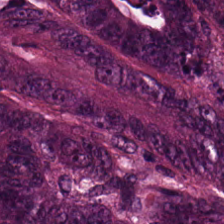Stain: H&E.
Tile size: 224×224 px patch.
Classification: malignant epithelium.
